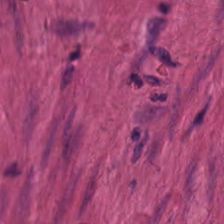0.5 microns per pixel. Hematoxylin-and-eosin stained section.
Muscularis.
